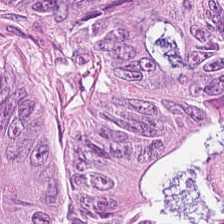H&E stain — Tissue = colorectal adenocarcinoma epithelium.
